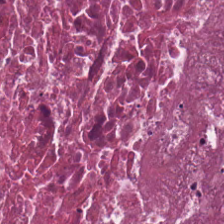Histology — necrotic debris.
